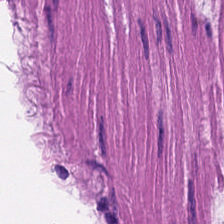H&E-stained tissue section; 224×224 pixel tile.
Classification: muscularis.
